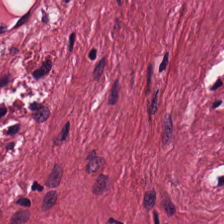Hematoxylin and eosin.
Desmoplastic stroma.
